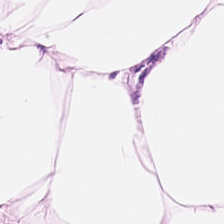Hematoxylin-and-eosin stained section. 224×224 px patch.
Classification — fat tissue.
